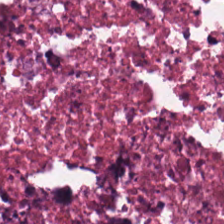0.5 microns per pixel · H&E.
This field is necrotic debris.
